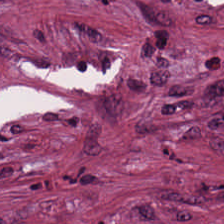H&E — Impression — desmoplastic stroma.
